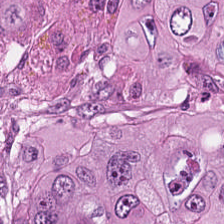{"tissue_type": "colorectal adenocarcinoma"}
